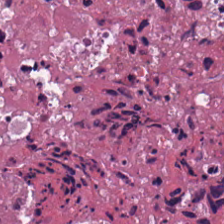Hematoxylin-and-eosin stained section — Predominantly necrotic debris.
